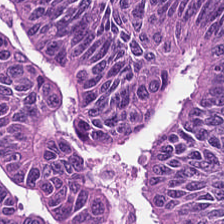H&E. FFPE tissue section.
Q: Classify this patch.
A: It is malignant epithelium.
